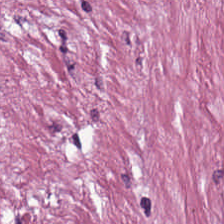H&E · 224×224 px tile.
Q: What tissue type is shown here?
A: This is tumor-associated stroma.
